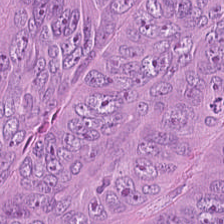H&E — Histology — malignant epithelium.
